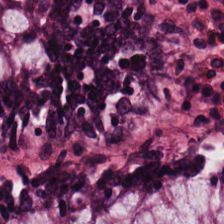H&E-stained tissue section; 224×224 px tile. Tissue class: non-neoplastic colon mucosa.
